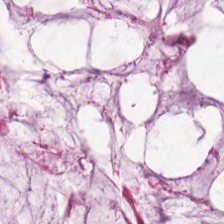H&E-stained tissue section; 0.5 microns per pixel.
The predominant tissue is mucin.
